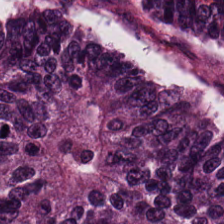Hematoxylin and eosin · 0.5 µm per pixel.
Tissue class = tumor epithelium.
